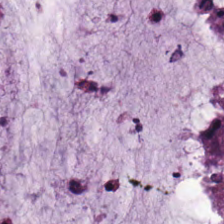H&E stain. This field is mucin.
